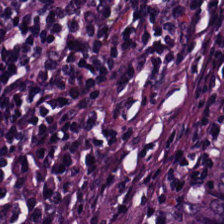Stain: H&E stain.
Classification: lymphoid infiltrate.
